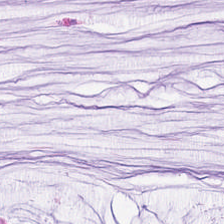Hematoxylin-and-eosin stained section. Predominant tissue — extracellular mucin.
